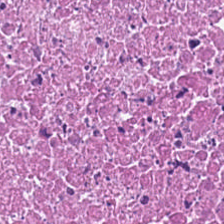Q: What does this patch show?
A: It is cellular debris.
